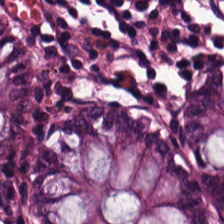Formalin-fixed paraffin-embedded section. Hematoxylin-and-eosin stained section — Q: Classify this patch.
A: This is benign colonic mucosa.
